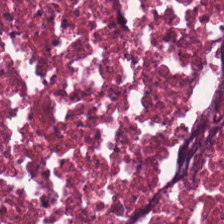H&E · FFPE · brightfield microscopy. Histology → debris.
